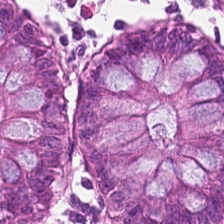224×224 px tile; hematoxylin and eosin.
Showing normal colon mucosa.
